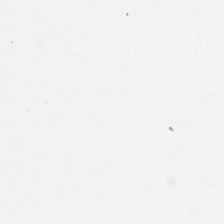0.5 µm per pixel. FFPE tissue section. H&E-stained tissue section.
Background (no tissue).
